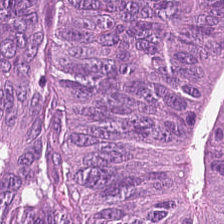20× equivalent magnification; hematoxylin and eosin.
Finding — tumor epithelium.
